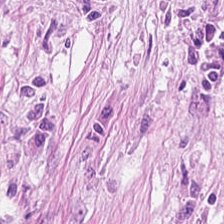H&E stain.
The tissue is tumor-associated stroma.
